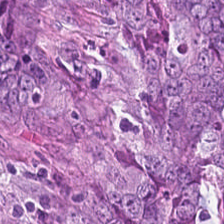Q: What tissue type is shown here?
A: Tumor epithelium.
